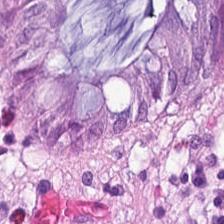H&E-stained tissue section · 224×224 pixel tile — Tissue — benign colonic mucosa.
